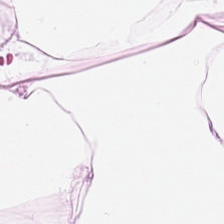224×224 pixel tile. Hematoxylin-and-eosin stained section — Q: What tissue is shown?
A: Adipose.
